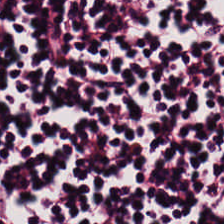Brightfield · hematoxylin-and-eosin stained section · 0.5 µm/px.
Showing lymphocyte aggregate.
